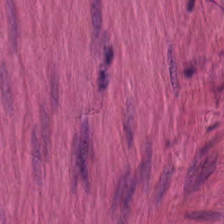Q: Identify the tissue.
A: The field shows smooth muscle.
